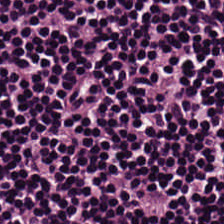FFPE · hematoxylin and eosin — Lymphocytic infiltrate.
